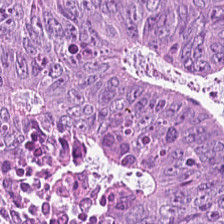Stain: H&E.
Tissue: colorectal adenocarcinoma epithelium.
